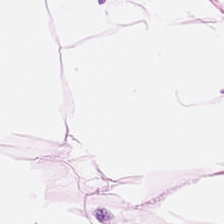FFPE tissue section · H&E-stained tissue section · brightfield — This patch shows adipose.
